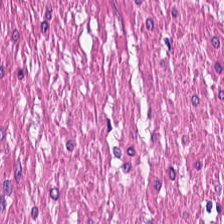FFPE; H&E stain; 224×224 pixel tile.
Classification = muscularis.
